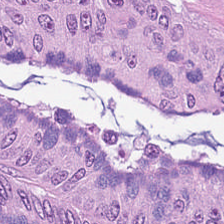0.5 µm per pixel · hematoxylin-and-eosin stained section. The predominant tissue is colorectal adenocarcinoma.
